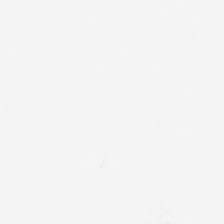Hematoxylin-and-eosin stained section.
{"content": "background (no tissue)"}
